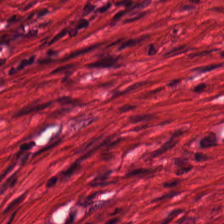Whole-slide-image patch. H&E stain — The predominant tissue is smooth muscle.
